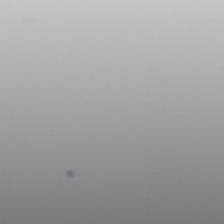Hematoxylin and eosin. Empty field — background (no tissue).
